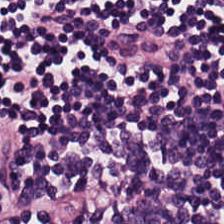The predominant tissue is lymphocyte aggregate.
